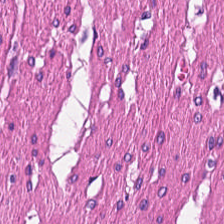H&E stain. 224×224 pixel tile — This field is smooth muscle.
